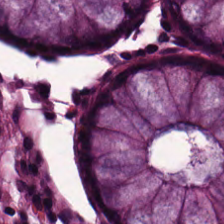H&E-stained tissue section — Q: What is the predominant tissue type?
A: The field shows normal colonic mucosa.
